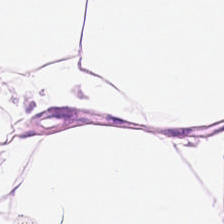0.5 µm per pixel · 224×224 pixel tile · H&E — Q: What is shown here?
A: The field shows adipocytes.
